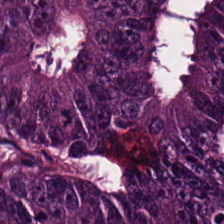H&E stain. Q: What is shown here?
A: This is malignant epithelium.
